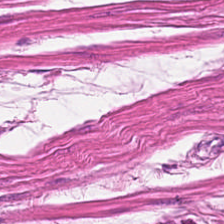FFPE tissue section · H&E stain — Q: What type of tissue is this?
A: Smooth muscle.
